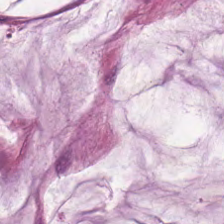H&E stain.
The tissue here is extracellular mucin.
